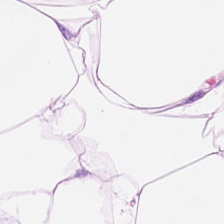Hematoxylin-and-eosin stained section; brightfield microscopy.
Q: Identify the tissue.
A: This is adipose tissue.
